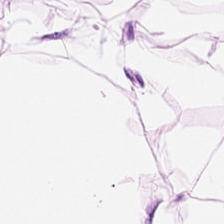H&E. The tissue here is adipose.
